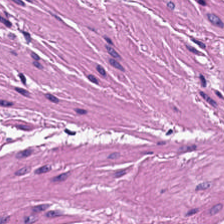Hematoxylin and eosin. Predominant tissue — smooth muscle.
